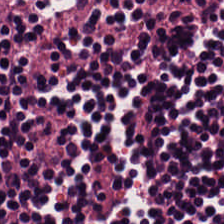Stain: hematoxylin and eosin.
Tissue type: lymphocyte aggregate.
